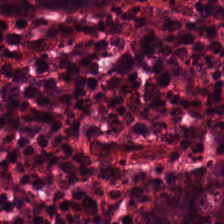Hematoxylin and eosin — The tissue class is normal colonic mucosa.
